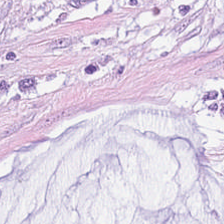H&E. Formalin-fixed paraffin-embedded section. Impression — extracellular mucin.
